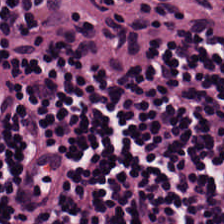Q: What tissue type is shown here?
A: The field shows lymphocyte aggregate.
